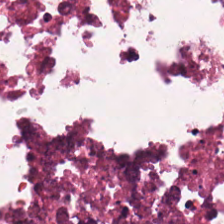H&E-stained tissue section.
The tissue type is debris.
